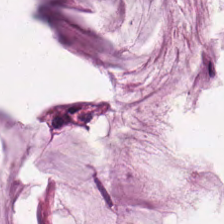Q: What type of tissue is this?
A: It is mucin.
